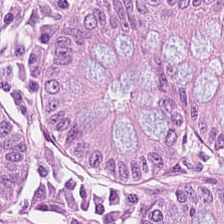Hematoxylin-and-eosin section: benign colonic mucosa.
